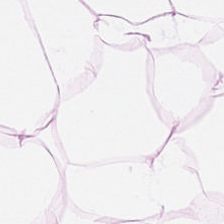Stain: H&E-stained tissue section.
Acquisition: brightfield microscopy.
Classification: fat tissue.
